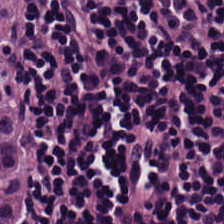Hematoxylin-and-eosin stained section. The classification is lymphocytic infiltrate.
